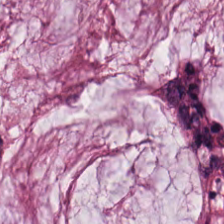Hematoxylin-and-eosin stained section · FFPE · WSI patch.
Q: What tissue is shown?
A: This is extracellular mucin.
